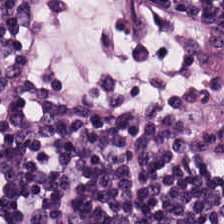H&E-stained tissue section. Impression — lymphocytic infiltrate.
